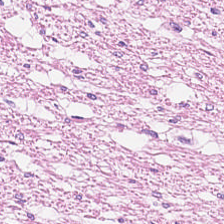224×224 pixel tile. Hematoxylin and eosin. Tissue: smooth-muscle tissue.
